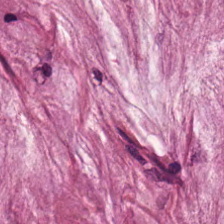Brightfield; H&E. Histology — mucin.
